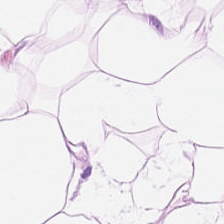WSI patch; hematoxylin and eosin — This patch shows adipocytes.
